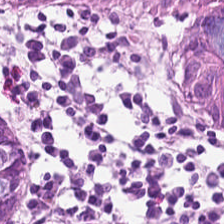0.5 microns per pixel · 224×224 px patch · H&E.
Q: What is shown here?
A: The field shows benign colonic mucosa.
